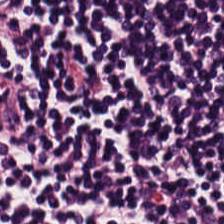Hematoxylin-and-eosin section: lymphocytes.
